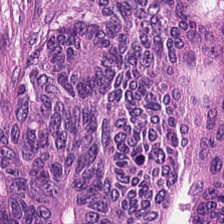Tissue class — malignant epithelium.
